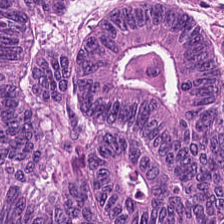Hematoxylin-and-eosin stained section — Finding → malignant epithelium.
